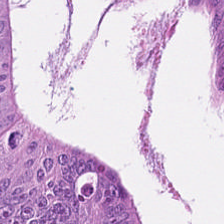224×224 px tile · hematoxylin-and-eosin stained section. Histology — malignant epithelium.
